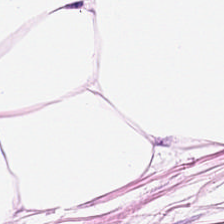Hematoxylin and eosin — Impression → adipose.
